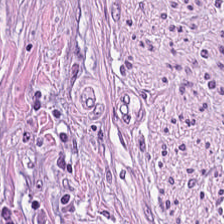The tissue class is cancer-associated stroma.
